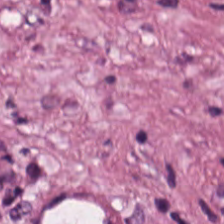Finding → desmoplastic stroma.
